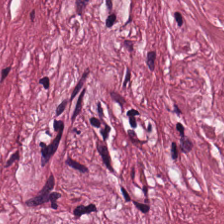Formalin-fixed paraffin-embedded section · 20× equivalent magnification · hematoxylin-and-eosin stained section — Showing desmoplastic stroma.
